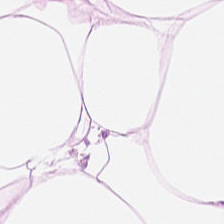Hematoxylin-and-eosin stained section. 224×224 px tile.
Tissue type: fat tissue.
